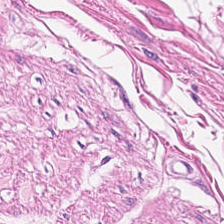Whole-slide-image patch; H&E — The tissue here is muscularis.
